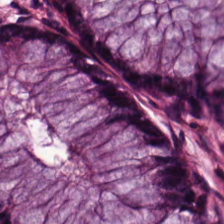WSI patch; H&E stain. This field is normal colonic mucosa.
